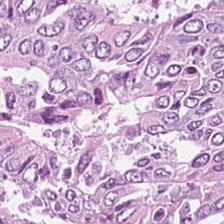Hematoxylin and eosin.
Showing adenocarcinoma.
